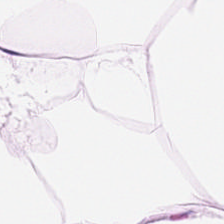Adipose tissue.
